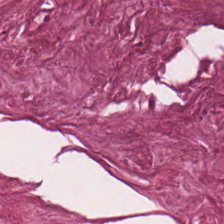H&E-stained tissue section. Whole-slide-image patch.
{"tissue_type": "tumor-associated stroma"}
